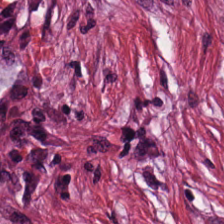Impression → desmoplastic stroma.
